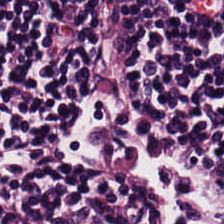Stain: H&E.
Tissue type: lymphoid infiltrate.
